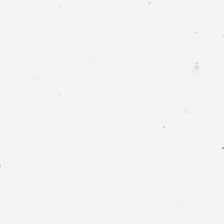Whole-slide-image patch. H&E stain. Q: What is shown in this field?
A: Empty background.
